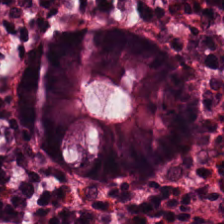H&E-stained tissue section.
Tissue type = benign colonic mucosa.
